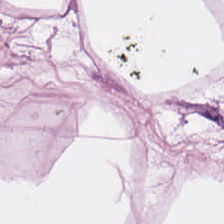224×224 px patch. Hematoxylin-and-eosin stained section. 0.5 µm/px — Predominantly fat tissue.
